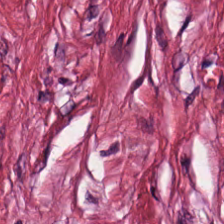Hematoxylin and eosin. Tumor stroma.
